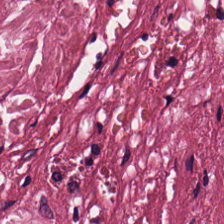H&E.
Q: What tissue type is shown here?
A: It is cancer-associated stroma.
